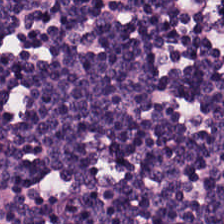224×224 px tile · H&E — Finding → lymphoid infiltrate.
